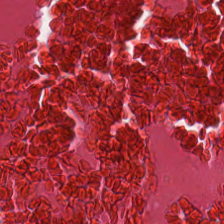Formalin-fixed paraffin-embedded section · hematoxylin and eosin.
Q: What is shown here?
A: The field shows necrotic debris.
